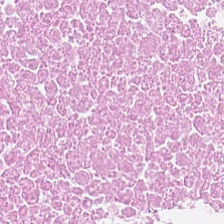Q: What is shown in this field?
A: Necrotic debris.
